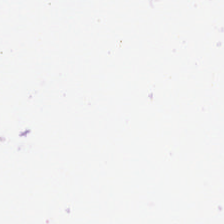This field is background (no tissue).
